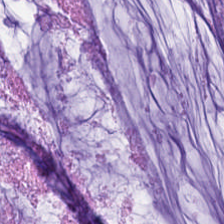Hematoxylin-and-eosin stained section.
Mucus.
